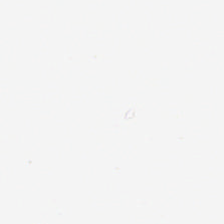H&E; formalin-fixed paraffin-embedded section — Impression → background.
